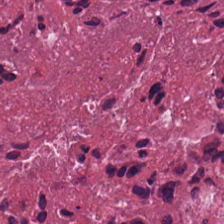Whole-slide-image patch · H&E-stained tissue section — This patch shows cellular debris.
